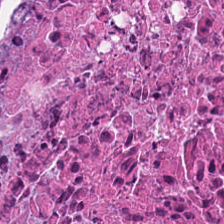Hematoxylin and eosin — This patch shows debris.
